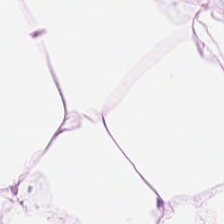Hematoxylin and eosin — Fat tissue.
